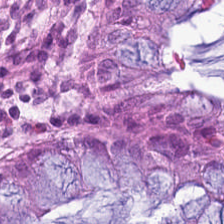20× equivalent magnification; hematoxylin and eosin; FFPE tissue section.
Predominant tissue — benign colonic mucosa.
